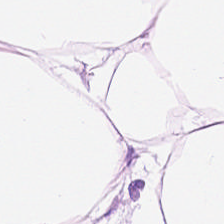Hematoxylin-and-eosin stained section.
Predominantly adipose tissue.
